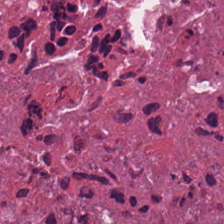H&E patch showing necrotic debris.
